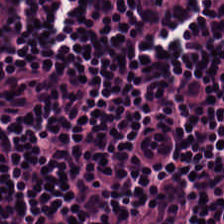H&E stain; 224×224 px patch — Showing lymphocyte aggregate.
